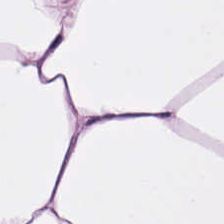224×224 px patch · H&E — Q: What tissue type is shown here?
A: It is fat tissue.
